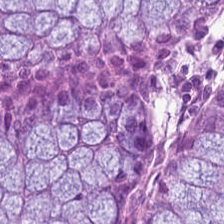Stain: H&E stain.
Classification: non-neoplastic colon mucosa.
